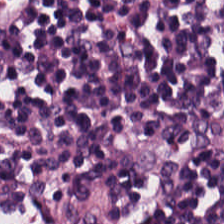Hematoxylin-and-eosin section: lymphocytic infiltrate.
